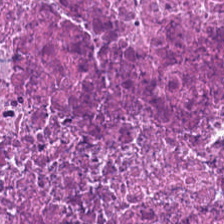H&E-stained tissue section. 20× equivalent magnification.
Cellular debris.
